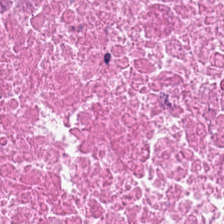FFPE tissue section; H&E-stained tissue section — Impression — cellular debris.
